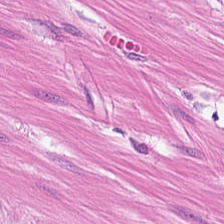Hematoxylin-and-eosin stained section; 20× equivalent magnification.
The tissue is smooth muscle.
